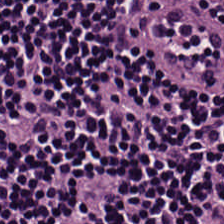20× equivalent magnification · H&E · 224×224 px patch.
Showing lymphocyte aggregate.
